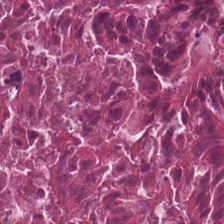Q: What is the predominant tissue type?
A: The field shows cellular debris.
